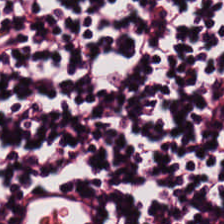Brightfield microscopy. 224×224 px patch. Hematoxylin-and-eosin stained section — The tissue here is lymphocytic infiltrate.
